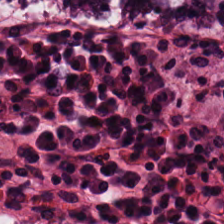This field is normal colon mucosa.
